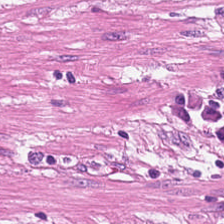Showing smooth muscle.
